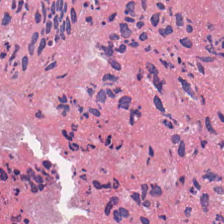H&E.
This field is debris.
